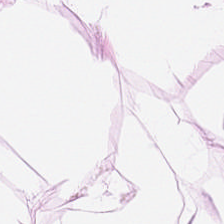0.5 µm per pixel. Formalin-fixed paraffin-embedded section. H&E-stained tissue section.
Classification = adipose tissue.
